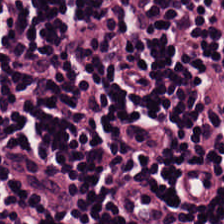Stain: H&E stain.
Classification: lymphocyte aggregate.
